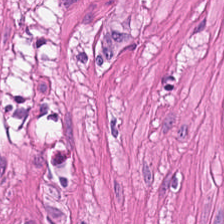Stain: H&E stain.
Tissue: smooth-muscle tissue.
